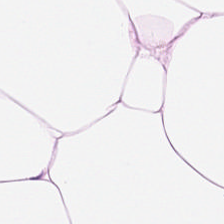0.5 µm/px · H&E-stained tissue section.
Tissue class: fat tissue.
